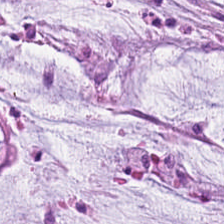Hematoxylin-and-eosin stained section — This patch shows mucus.
